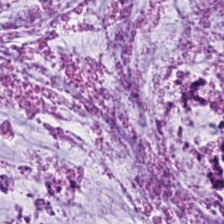Predominantly mucin.
